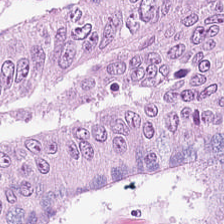This patch shows malignant epithelium.
